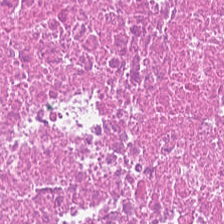H&E-stained tissue section · 224×224 px patch · 0.5 µm/px.
Histology → necrotic debris.
